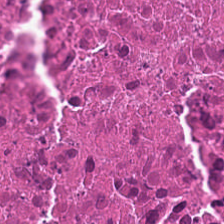Hematoxylin and eosin. Brightfield — This field is cellular debris.
